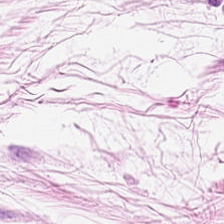Stain: H&E stain.
Tile size: 224×224 pixel tile.
Tissue: fat tissue.
